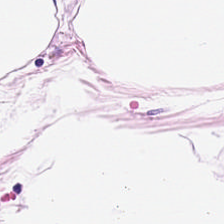The classification is adipose tissue.
